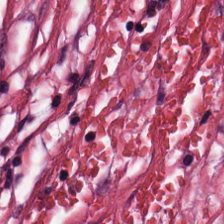FFPE · 0.5 µm per pixel · hematoxylin and eosin — The predominant tissue is cancer-associated stroma.
